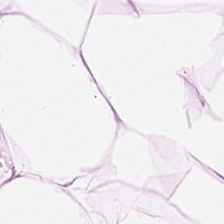224×224 px tile · H&E-stained tissue section · 0.5 microns per pixel. Histology — adipocytes.
